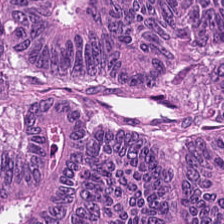Hematoxylin and eosin — Q: What tissue type is shown here?
A: The field shows malignant epithelium.
